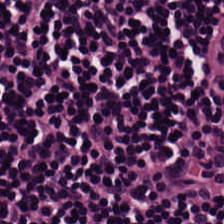Stain: H&E stain.
Tissue: lymphocytes.
